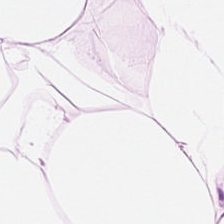Hematoxylin and eosin.
Q: What does this patch show?
A: Adipose.
